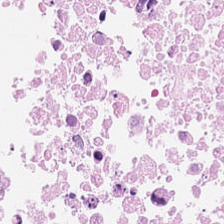Classification: necrotic debris.
